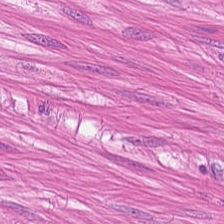Stain: H&E stain.
Resolution: 20× equivalent magnification.
Tissue: smooth-muscle tissue.
